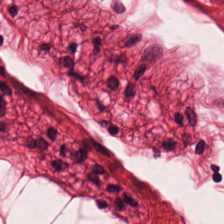H&E stain; whole-slide-image patch. Smooth-muscle tissue.
